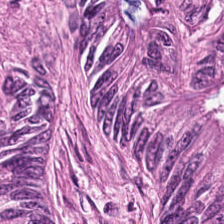Hematoxylin and eosin · formalin-fixed paraffin-embedded section — {"tissue_type": "tumor epithelium"}
